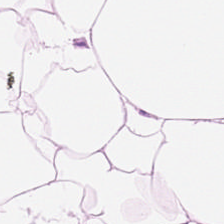Hematoxylin-and-eosin stained section.
Showing adipose tissue.
